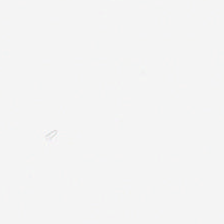This field is background (no tissue).
